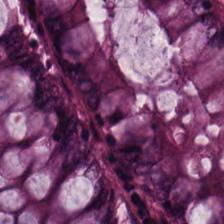H&E-stained tissue section. Tissue class — benign colonic mucosa.
